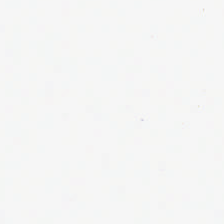H&E-stained tissue section.
Q: What does this patch show?
A: No tissue.
